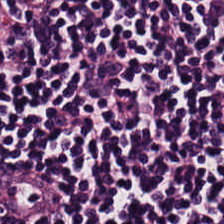Brightfield microscopy; hematoxylin and eosin; 0.5 microns per pixel — Q: What tissue type is shown here?
A: This is lymphocytes.
